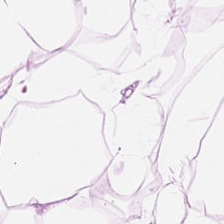224×224 pixel tile. H&E — This patch shows adipose.
